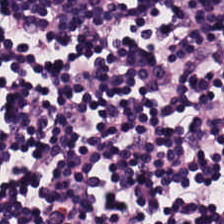Whole-slide-image patch; hematoxylin and eosin.
Q: What is shown here?
A: This is lymphoid infiltrate.
